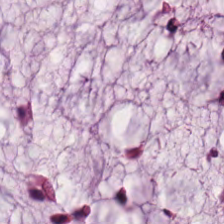Whole-slide-image patch · H&E stain.
Showing mucin.
